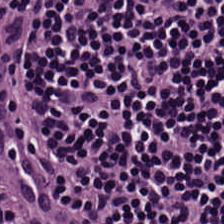H&E-stained tissue section showing lymphocyte aggregate.
